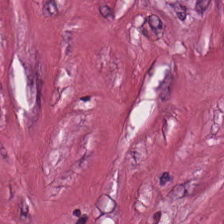Hematoxylin-and-eosin stained section — This field is desmoplastic stroma.
